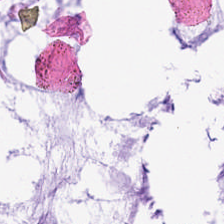Stain: H&E-stained tissue section.
Preparation: formalin-fixed paraffin-embedded section.
Tissue class: extracellular mucin.
